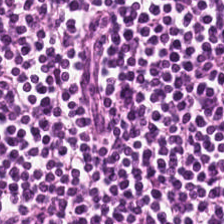H&E-stained tissue section. The tissue here is lymphocytic infiltrate.
